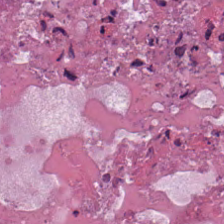Classification = necrotic debris.
